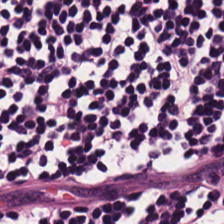Stain: hematoxylin and eosin.
Predominant tissue: lymphocyte aggregate.
